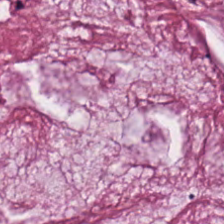H&E stain; 224×224 pixel tile. {"tissue_type": "mucus"}
